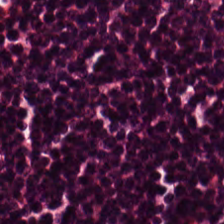Hematoxylin-and-eosin stained section · 224×224 px patch.
{"tissue_type": "lymphocytes"}
